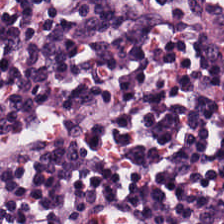Q: What is shown in this field?
A: The field shows lymphocyte aggregate.
